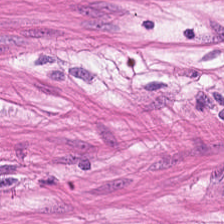H&E-stained tissue section showing smooth muscle.
